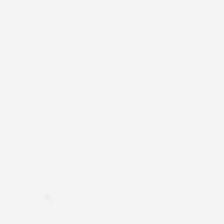Hematoxylin-and-eosin stained section — No tissue present; background only.
